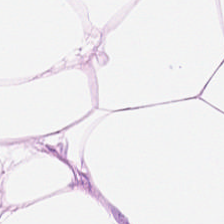The tissue here is adipocytes.
